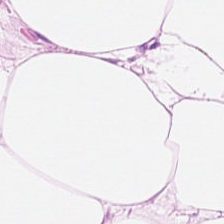H&E stain; 20× equivalent magnification — Adipose tissue.
